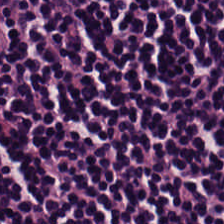20× equivalent magnification · H&E stain · whole-slide-image patch. The classification is lymphoid infiltrate.
